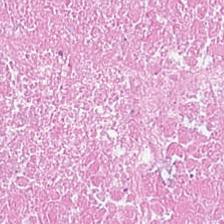Whole-slide-image patch; FFPE tissue section; hematoxylin and eosin. Q: Classify this patch.
A: The field shows debris.
